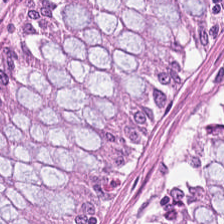224×224 px patch; hematoxylin-and-eosin stained section. Tissue class = non-neoplastic colon mucosa.
